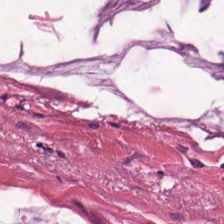H&E-stained tissue section showing mucin.
